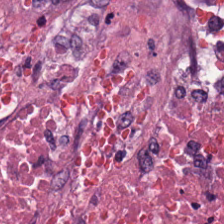Hematoxylin-and-eosin stained section. 20× equivalent magnification — Q: What tissue is shown?
A: This is debris.
